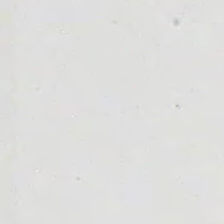FFPE · H&E-stained tissue section · 224×224 px patch — Background — no tissue in this field.
